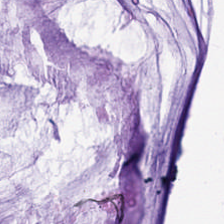H&E-stained tissue section. Histology → mucin.
